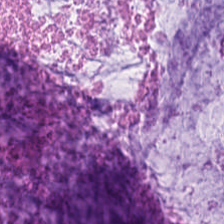H&E-stained tissue section; whole-slide-image patch — Tissue class: extracellular mucin.
